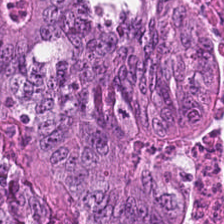Hematoxylin and eosin.
Finding — colorectal adenocarcinoma epithelium.
